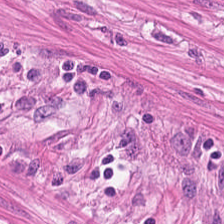H&E-stained tissue section — The tissue type is muscularis.
